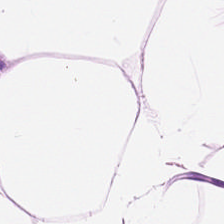Hematoxylin-and-eosin stained section; 0.5 microns per pixel — Histology → adipose.
